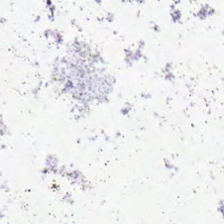H&E stain — Histology — empty background.
